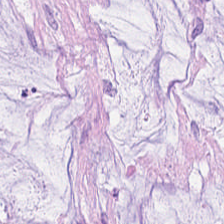Stain: hematoxylin and eosin.
Acquisition: brightfield.
Tissue: mucus.
